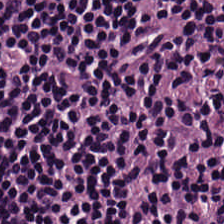FFPE tissue section; 0.5 µm per pixel; H&E-stained tissue section — {"tissue_type": "lymphoid infiltrate"}
